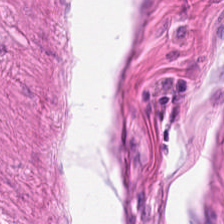Hematoxylin-and-eosin stained section. Whole-slide-image patch. 224×224 px patch.
Histology — smooth-muscle tissue.
